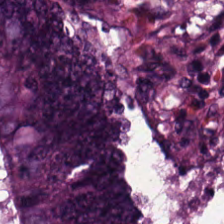224×224 px patch · 0.5 µm/px · H&E-stained tissue section — Impression — malignant epithelium.
